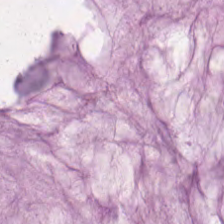Hematoxylin-and-eosin stained section. Histology — mucus.
